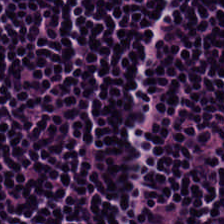Stain: hematoxylin and eosin.
Resolution: 0.5 µm/px.
Tissue class: lymphocytic infiltrate.
